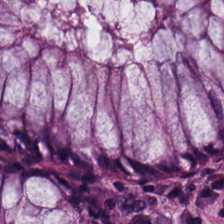Classification: benign colonic mucosa.
